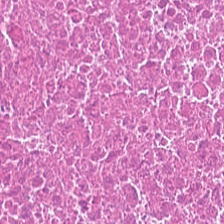Hematoxylin-and-eosin stained section. Brightfield.
The classification is debris.
